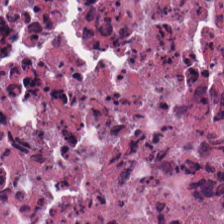H&E · 0.5 µm per pixel · brightfield. Q: What is the predominant tissue type?
A: The field shows debris.
